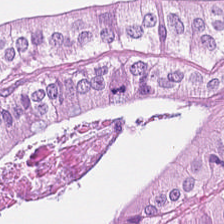H&E-stained tissue section. Q: What type of tissue is this?
A: Colorectal adenocarcinoma.
